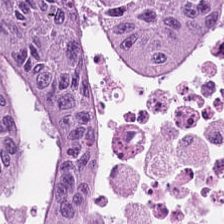Showing malignant epithelium.
